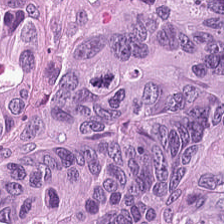H&E-stained tissue section — The tissue is malignant epithelium.
